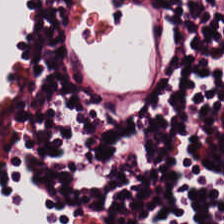Hematoxylin-and-eosin stained section — The tissue class is lymphoid infiltrate.
